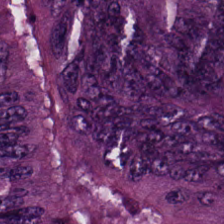224×224 pixel tile. FFPE. Hematoxylin-and-eosin stained section.
Q: What does this patch show?
A: The field shows tumor epithelium.
